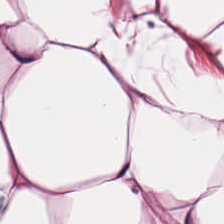Hematoxylin and eosin.
Classification: adipocytes.
